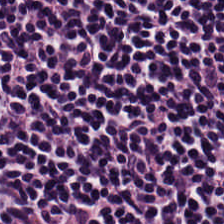H&E.
Tissue: lymphocytic infiltrate.
